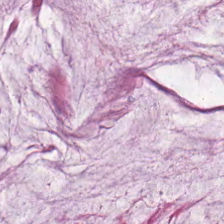H&E-stained tissue section · 0.5 µm/px. Predominantly extracellular mucin.
